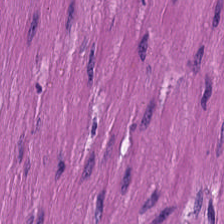H&E-stained tissue section — The predominant tissue is smooth muscle.
